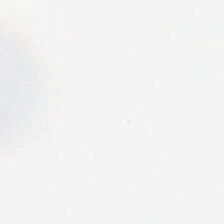H&E.
Q: What is shown in this field?
A: It is background (no tissue).
